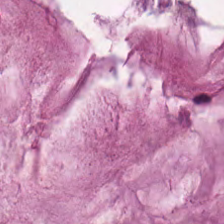Stain: H&E-stained tissue section.
Predominant tissue: extracellular mucin.
